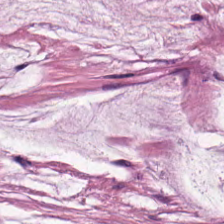H&E-stained tissue section.
Predominant tissue: extracellular mucin.
